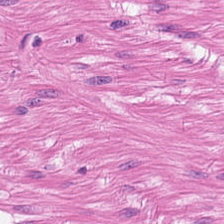FFPE tissue section. Whole-slide-image patch. H&E stain.
{"tissue_type": "muscularis"}
